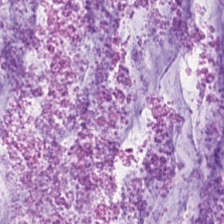Stain: H&E stain.
Tissue: mucus.
